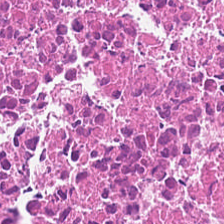H&E. Q: What is shown here?
A: It is cellular debris.
